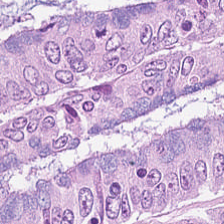0.5 microns per pixel; H&E stain. Showing colorectal adenocarcinoma epithelium.
